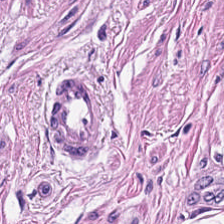The tissue here is muscularis.
